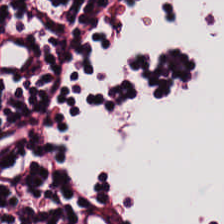H&E; FFPE — Predominant tissue: lymphocyte aggregate.
